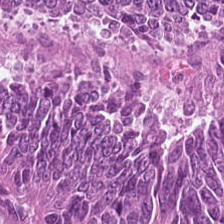Adenocarcinoma.
